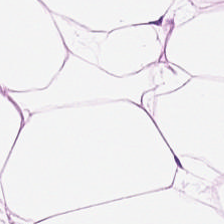Classification — adipocytes.
